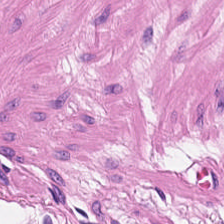Hematoxylin and eosin. FFPE — Classification — smooth-muscle tissue.
